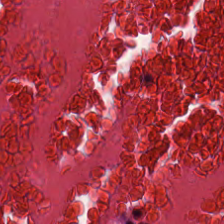H&E-stained tissue section.
{"tissue_type": "cellular debris"}
